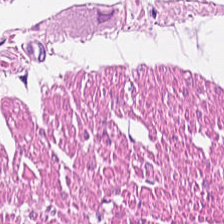Formalin-fixed paraffin-embedded section · H&E stain · 224×224 px tile — This patch shows smooth muscle.
